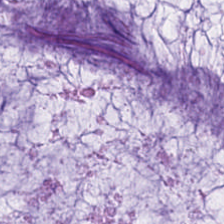H&E-stained tissue section · formalin-fixed paraffin-embedded section — Showing mucin.
